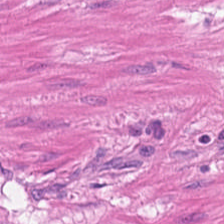Whole-slide-image patch. H&E stain. 224×224 px tile. {"tissue_type": "muscularis"}
